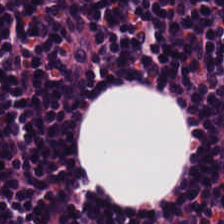Stain: H&E-stained tissue section.
Tissue: lymphocyte aggregate.
